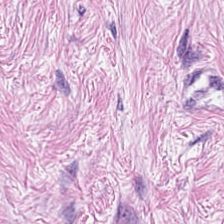Stain: H&E-stained tissue section.
Resolution: 0.5 µm per pixel.
Tissue type: desmoplastic stroma.
